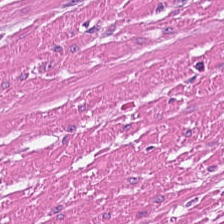H&E · 0.5 µm/px.
Q: What tissue is shown?
A: It is smooth-muscle tissue.
